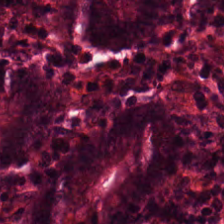Predominantly normal colon mucosa.
